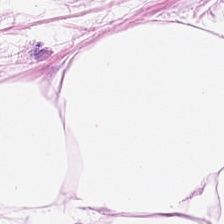H&E.
Q: What does this patch show?
A: This is fat tissue.
